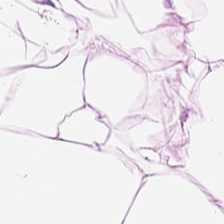H&E-stained tissue section — Finding — adipose.
